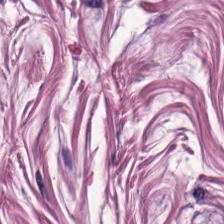Formalin-fixed paraffin-embedded section. Hematoxylin and eosin.
Q: What tissue is shown?
A: Muscularis.
